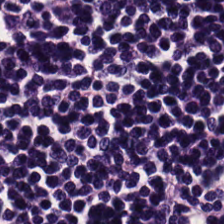224×224 px tile · H&E-stained tissue section.
The tissue here is lymphocytes.
